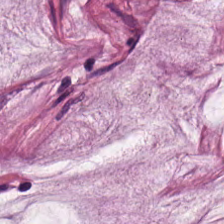H&E-stained section; the field shows extracellular mucin.
